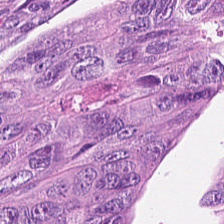Stain: hematoxylin and eosin.
Resolution: 20× equivalent magnification.
Predominant tissue: tumor epithelium.
